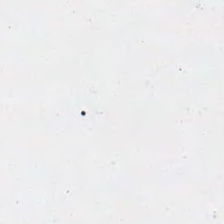H&E-stained tissue section — Q: What is shown in this field?
A: It is no tissue.
